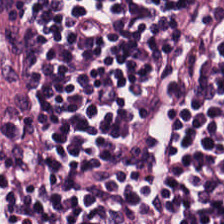H&E. Whole-slide-image patch.
Q: What tissue is shown?
A: Lymphocytes.
